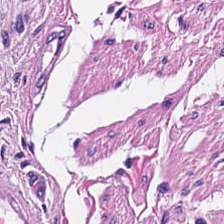Stain: H&E.
Predominant tissue: smooth muscle.
